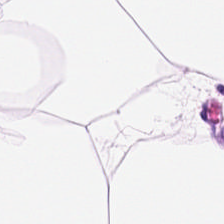Hematoxylin-and-eosin stained section.
This field is adipose tissue.
